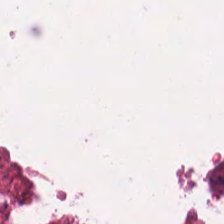Classification — cellular debris.
